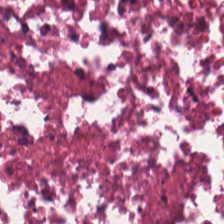Hematoxylin-and-eosin stained section.
The tissue is necrotic debris.
